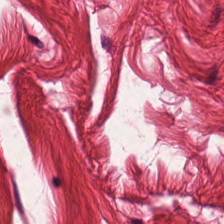H&E-stained tissue section; 0.5 µm per pixel; FFPE — Q: Classify this patch.
A: Muscularis.
